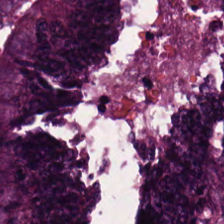Hematoxylin and eosin. FFPE tissue section. Showing malignant epithelium.
